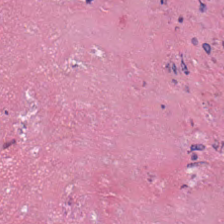This patch shows cellular debris.
